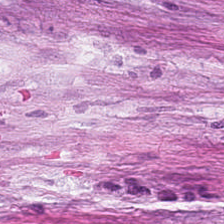Tumor-associated stroma.
